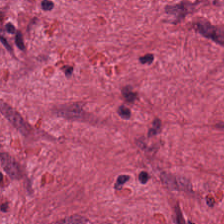224×224 pixel tile · H&E-stained tissue section · formalin-fixed paraffin-embedded section. The predominant tissue is cancer-associated stroma.
